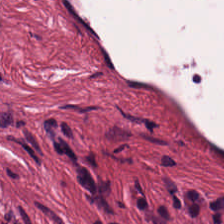Hematoxylin and eosin. This patch shows cancer-associated stroma.
